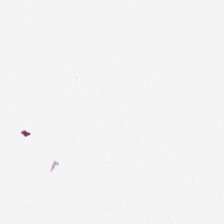Stain: hematoxylin and eosin.
Classification: background (no tissue).
